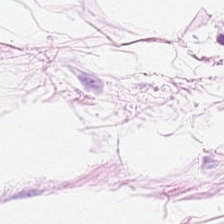Hematoxylin and eosin. Histology → adipocytes.
